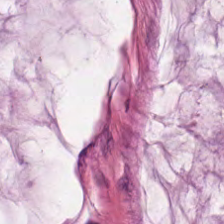Stain: H&E stain.
Predominant tissue: mucin.
